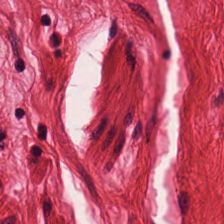20× equivalent magnification · hematoxylin and eosin — Q: What type of tissue is this?
A: This is smooth muscle.
